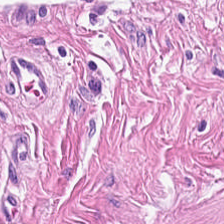Brightfield microscopy. 224×224 pixel tile. Hematoxylin and eosin — The tissue here is muscularis.
